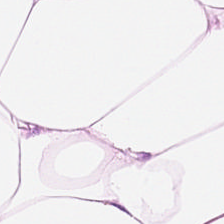Brightfield microscopy · H&E · 0.5 µm/px — Q: What is the predominant tissue type?
A: This is fat tissue.
